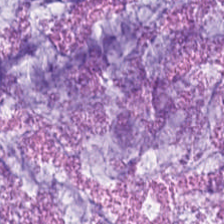H&E stain · 224×224 px tile.
Classification = extracellular mucin.
